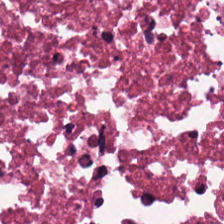Stain: H&E.
Tissue type: cellular debris.
